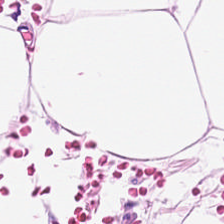FFPE tissue section; H&E-stained tissue section. {"tissue_type": "adipose tissue"}
